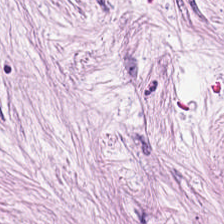Hematoxylin and eosin — Predominantly tumor-associated stroma.
